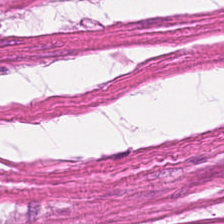FFPE · H&E. Impression → smooth-muscle tissue.
